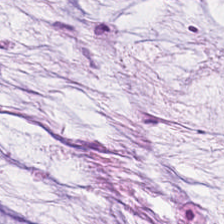This field is extracellular mucin.
